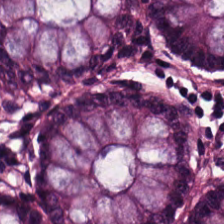Hematoxylin-and-eosin stained section — Impression — non-neoplastic colon mucosa.
